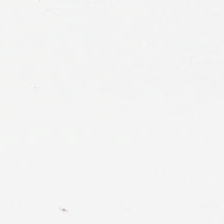Hematoxylin and eosin — Background (no tissue).
